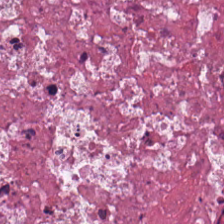H&E stain · formalin-fixed paraffin-embedded section — Predominant tissue — cellular debris.
